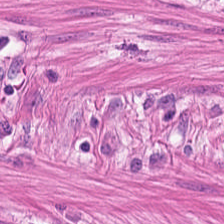FFPE. Hematoxylin and eosin — Smooth muscle.
